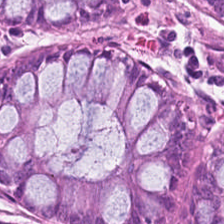H&E-stained tissue section; 0.5 µm/px. The tissue here is normal colon mucosa.
